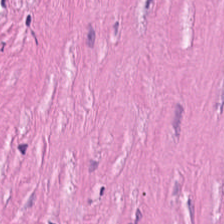H&E-stained tissue section. The predominant tissue is tumor stroma.
